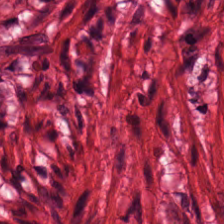224×224 px patch; hematoxylin and eosin.
Histology — smooth-muscle tissue.
